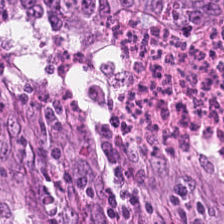H&E stain — Tissue type — malignant epithelium.
